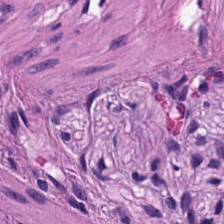The tissue type is smooth-muscle tissue.
